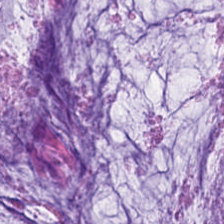H&E.
This patch shows mucin.
